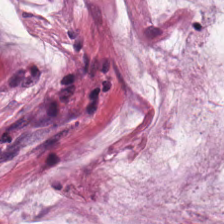Formalin-fixed paraffin-embedded section. H&E stain. Tissue class — extracellular mucin.
